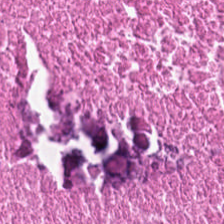Hematoxylin-and-eosin stained section. Debris.
